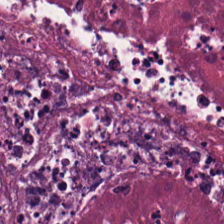H&E-stained tissue section. 224×224 px tile. FFPE tissue section.
Finding — necrotic debris.
